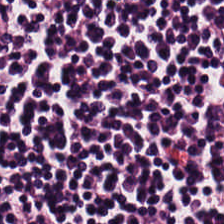Hematoxylin and eosin. Predominantly lymphocytes.
